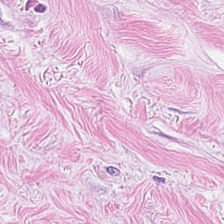FFPE tissue section · hematoxylin-and-eosin stained section.
{"tissue_type": "tumor-associated stroma"}
